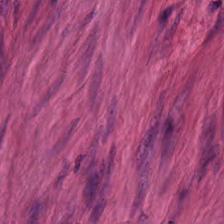H&E-stained tissue section. The classification is smooth muscle.
